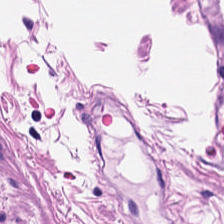Stain: H&E.
Acquisition: brightfield microscopy.
Preparation: formalin-fixed paraffin-embedded section.
Predominant tissue: smooth muscle.
